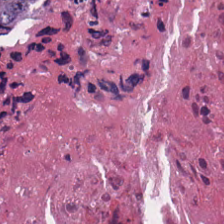H&E stain. Classification = necrotic debris.
